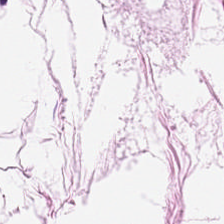Hematoxylin-and-eosin stained section. Tissue class = adipocytes.
